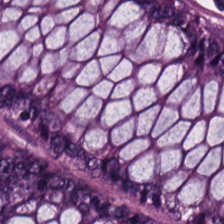224×224 pixel tile · H&E · 0.5 µm/px. The tissue here is normal colon mucosa.
